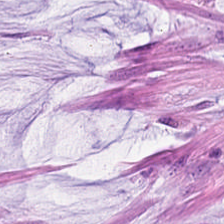Hematoxylin and eosin. 224×224 px patch.
Classification = mucin.
